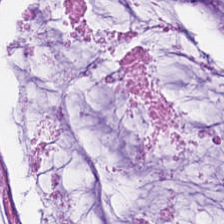Hematoxylin and eosin. Mucus.
